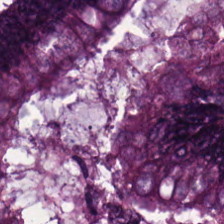H&E stain.
This patch shows colorectal adenocarcinoma epithelium.
